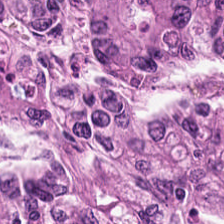Whole-slide-image patch · 224×224 px patch · hematoxylin-and-eosin stained section — {"tissue_type": "adenocarcinoma"}
